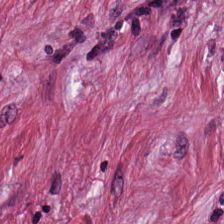H&E-stained tissue section.
The tissue here is tumor-associated stroma.
